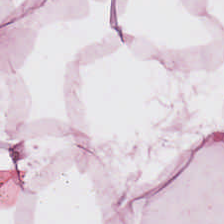Hematoxylin and eosin. 224×224 px patch — Q: Identify the tissue.
A: Adipose tissue.
